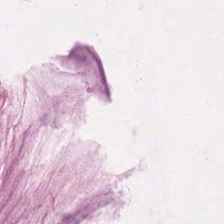H&E-stained tissue section. Classification — mucin.
